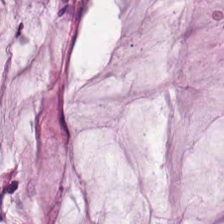H&E-stained tissue section.
The predominant tissue is extracellular mucin.
